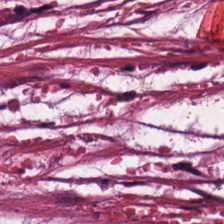H&E stain. Finding → tumor stroma.
